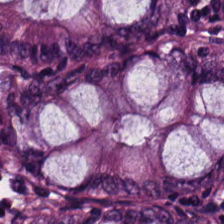Hematoxylin and eosin. Predominant tissue — non-neoplastic colon mucosa.
